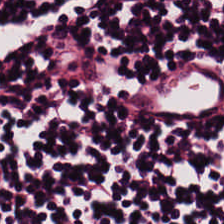Stain: H&E.
Tissue class: lymphoid infiltrate.
